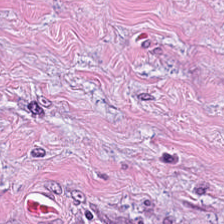Stain: H&E-stained tissue section.
Tissue: cancer-associated stroma.
